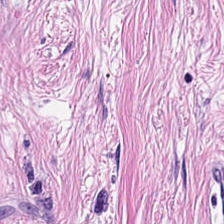H&E — Showing tumor-associated stroma.
